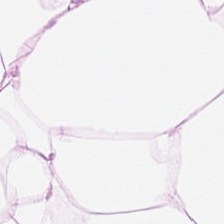H&E-stained section; the field shows fat tissue.
